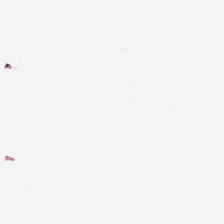This field is background (no tissue).
